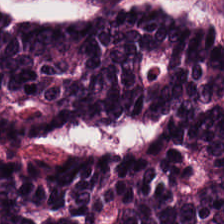H&E-stained tissue section. 0.5 µm per pixel.
This field is adenocarcinoma.
